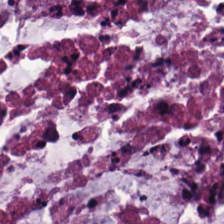Q: Classify this patch.
A: This is mucus.
